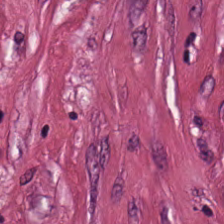H&E-stained tissue section — The tissue here is tumor stroma.
